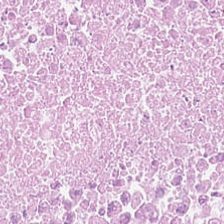0.5 µm/px. H&E.
The predominant tissue is cellular debris.
